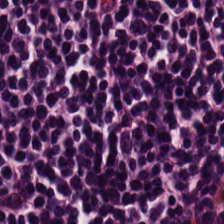WSI patch. H&E-stained tissue section.
{"tissue_type": "lymphocytes"}
